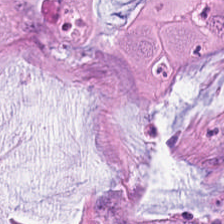Histology — mucin.
